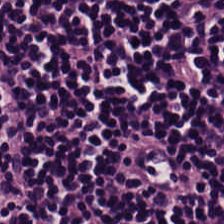H&E. Finding → lymphoid infiltrate.
